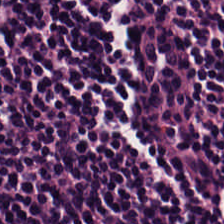Hematoxylin-and-eosin stained section · FFPE · WSI patch. The tissue is lymphocyte aggregate.
